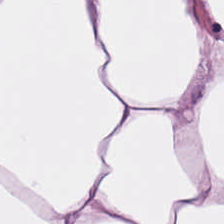FFPE. H&E-stained tissue section.
Showing adipose.
